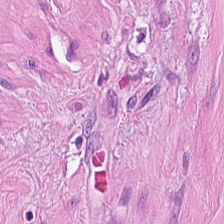The tissue here is muscularis.
